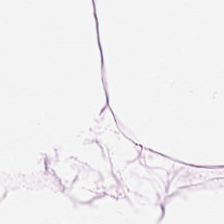H&E stain. FFPE.
Tissue class — fat tissue.
